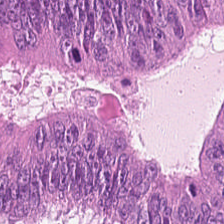H&E-stained tissue section; formalin-fixed paraffin-embedded section; brightfield microscopy — Impression → colorectal adenocarcinoma.
